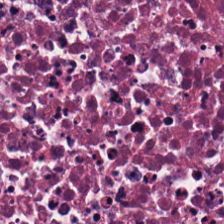H&E-stained tissue section.
Q: Identify the tissue.
A: Debris.
